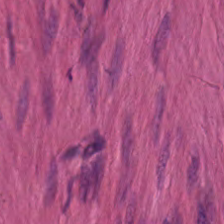H&E-stained tissue section; brightfield microscopy — Histology → muscularis.
